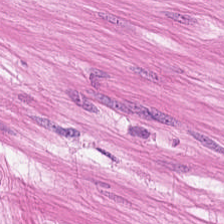Formalin-fixed paraffin-embedded section · H&E stain. Showing muscularis.
